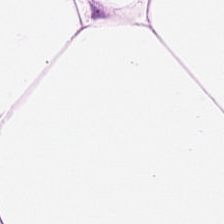Hematoxylin-and-eosin stained section. Tissue class = adipocytes.
